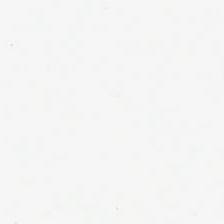H&E-stained tissue section.
This patch shows no tissue.
